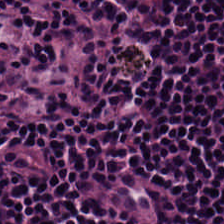FFPE · hematoxylin-and-eosin stained section. Q: What tissue is shown?
A: The field shows lymphocyte aggregate.
